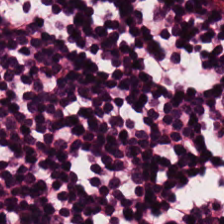H&E-stained tissue section. Predominantly lymphocytic infiltrate.
